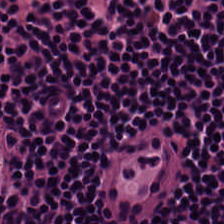H&E.
Finding — lymphocyte aggregate.
